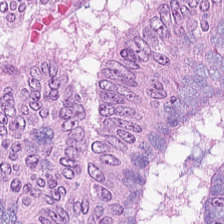224×224 px tile. Hematoxylin-and-eosin stained section — Classification: adenocarcinoma.
